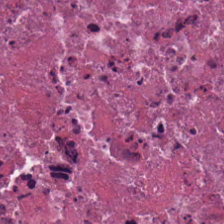The predominant tissue is debris.
